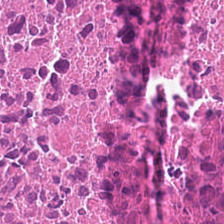H&E-stained tissue section. Showing debris.
